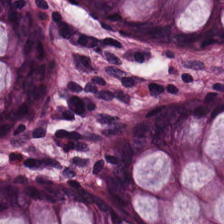Hematoxylin and eosin — Tissue type = non-neoplastic colon mucosa.
